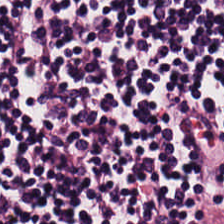Hematoxylin-and-eosin stained section; 0.5 µm per pixel.
Tissue type: lymphoid infiltrate.
